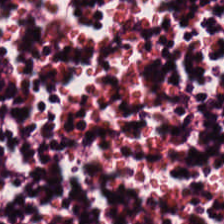H&E-stained tissue section. The predominant tissue is lymphocyte aggregate.
